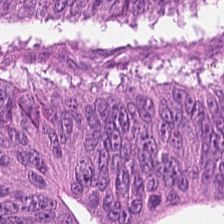Stain: hematoxylin-and-eosin stained section.
Preparation: formalin-fixed paraffin-embedded section.
Tissue type: tumor epithelium.
